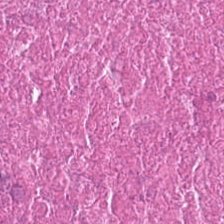0.5 microns per pixel. FFPE tissue section. Hematoxylin and eosin. Showing debris.
